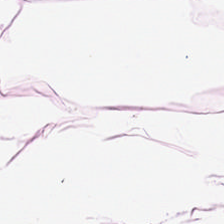224×224 px patch. Formalin-fixed paraffin-embedded section. H&E — This patch shows adipose tissue.
